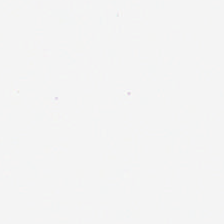224×224 px patch. H&E stain. WSI patch — Q: What does this patch show?
A: Empty background.
